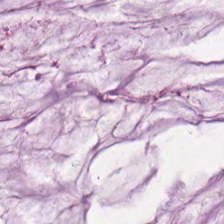H&E patch showing mucin.
